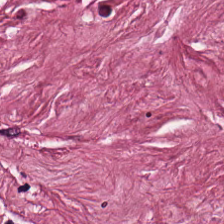Hematoxylin and eosin — Predominant tissue: tumor-associated stroma.
